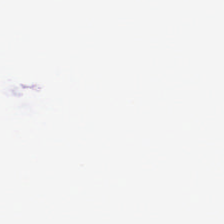FFPE. H&E-stained tissue section. Brightfield.
Histology → background.
